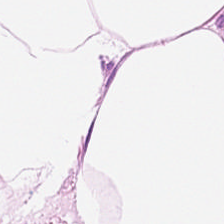Whole-slide-image patch; hematoxylin and eosin.
Finding — adipocytes.
